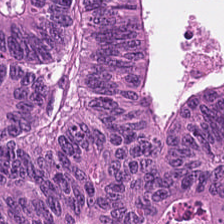Hematoxylin-and-eosin stained section; whole-slide-image patch. Q: What tissue is shown?
A: The field shows tumor epithelium.
